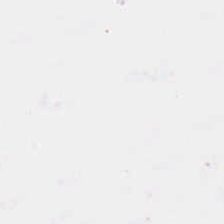0.5 µm/px · H&E · brightfield — {"content": "background (no tissue)"}
